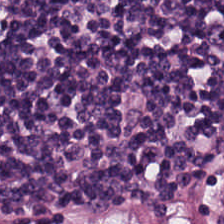The classification is lymphocytic infiltrate.
